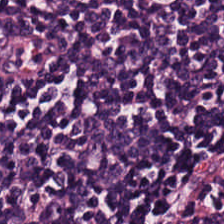Hematoxylin and eosin.
Tissue type — lymphocytic infiltrate.
